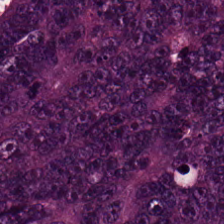WSI patch; H&E. The predominant tissue is colorectal adenocarcinoma.
